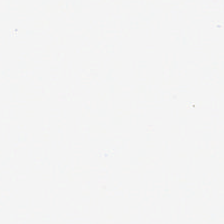Formalin-fixed paraffin-embedded section. H&E — Content: empty background.
